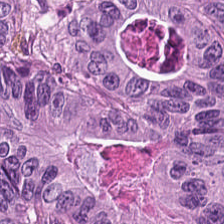Impression → tumor epithelium.
